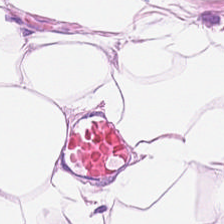FFPE · 20× equivalent magnification · H&E-stained tissue section — Q: What tissue is shown?
A: This is adipocytes.
